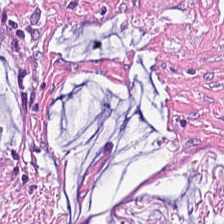Stain: hematoxylin-and-eosin stained section.
Acquisition: brightfield.
Tissue class: tumor-associated stroma.
